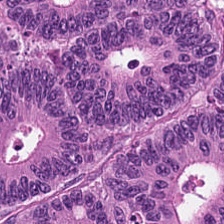0.5 µm/px · H&E.
Showing tumor epithelium.
